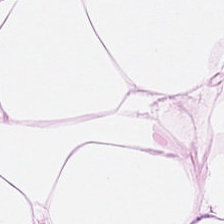Tissue — adipose tissue.
